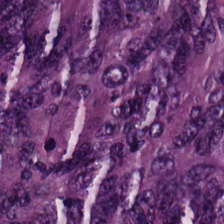Stain: hematoxylin-and-eosin stained section.
Classification: colorectal adenocarcinoma.
